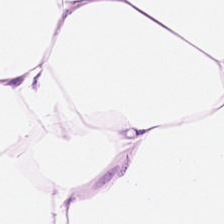H&E · 20× equivalent magnification.
Impression → adipose.
